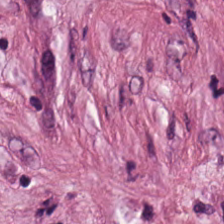Hematoxylin-and-eosin stained section. Formalin-fixed paraffin-embedded section. 224×224 px patch. Showing tumor stroma.
